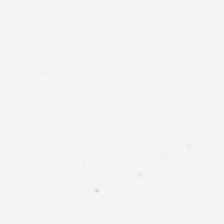H&E.
The field content is no tissue.
